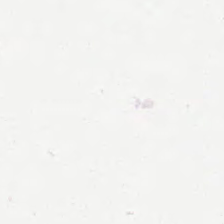Formalin-fixed paraffin-embedded section; H&E; whole-slide-image patch. Histology → background (no tissue).
